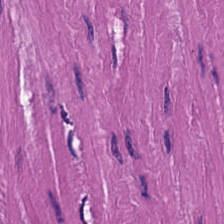Showing muscularis.
